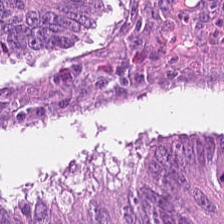Hematoxylin-and-eosin section: malignant epithelium.
